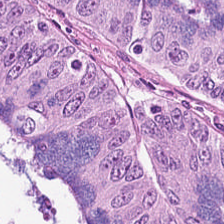Hematoxylin-and-eosin stained section — This patch shows tumor epithelium.
